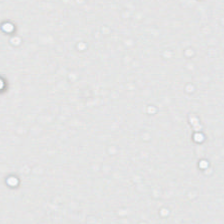Whole-slide-image patch · H&E stain · FFPE. Q: What is shown here?
A: This is empty background.
